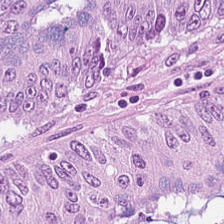FFPE · hematoxylin and eosin.
Showing colorectal adenocarcinoma epithelium.
